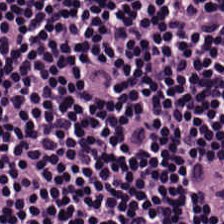H&E stain.
Predominant tissue = lymphocytic infiltrate.
